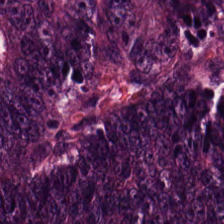H&E stain — Tissue type = colorectal adenocarcinoma.
